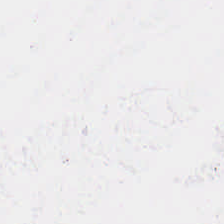Stain: hematoxylin and eosin.
Tile size: 224×224 px patch.
Classification: no tissue.
